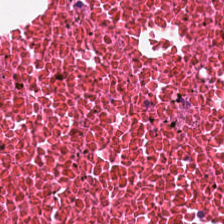The tissue type is debris.
